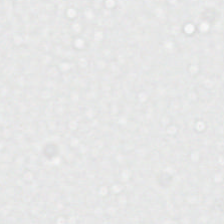224×224 pixel tile. H&E — {"content": "background"}
